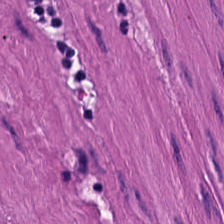Hematoxylin and eosin. Brightfield microscopy.
Histology — smooth-muscle tissue.
